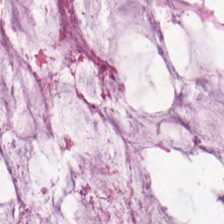Stain: hematoxylin and eosin.
Acquisition: WSI patch.
Preparation: formalin-fixed paraffin-embedded section.
Tissue class: extracellular mucin.
